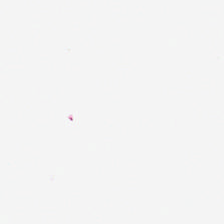H&E-stained tissue section — The classification is background.
